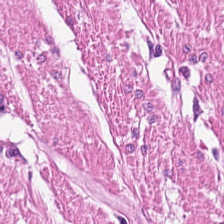Predominant tissue: smooth-muscle tissue.
